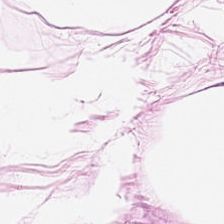Q: What does this patch show?
A: The field shows adipocytes.
